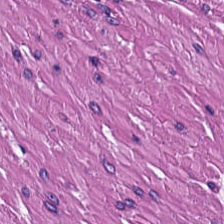0.5 µm per pixel · hematoxylin and eosin · brightfield microscopy. Q: What tissue is shown?
A: It is smooth-muscle tissue.
